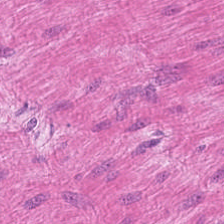Hematoxylin-and-eosin stained section. Tissue — smooth-muscle tissue.
